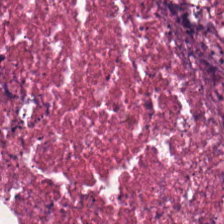Classification — necrotic debris.
